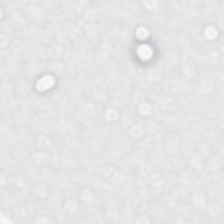H&E-stained tissue section — {"content": "background (no tissue)"}
